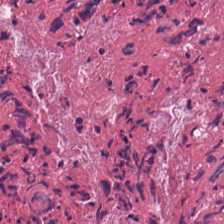WSI patch. 224×224 pixel tile. H&E. Tissue type — debris.
